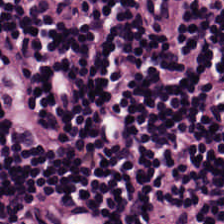The tissue is lymphocytic infiltrate.
